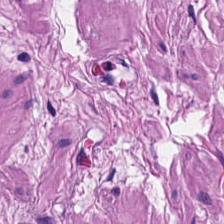Hematoxylin and eosin. Predominant tissue: smooth muscle.
